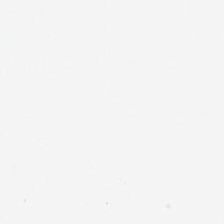Content: background (no tissue).
